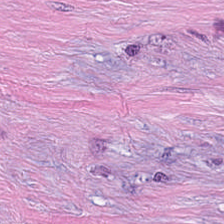224×224 pixel tile · hematoxylin and eosin — Q: What tissue type is shown here?
A: The field shows desmoplastic stroma.
